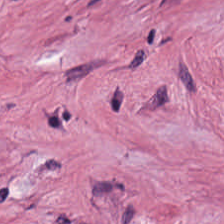224×224 pixel tile · hematoxylin-and-eosin stained section. The tissue here is desmoplastic stroma.
